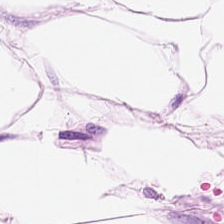H&E-stained tissue section — Impression — adipose tissue.
